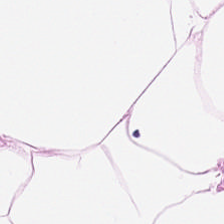FFPE. 20× equivalent magnification. H&E-stained tissue section. This field is fat tissue.
